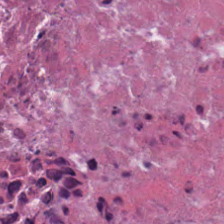0.5 µm/px; H&E stain — Classification = cellular debris.
